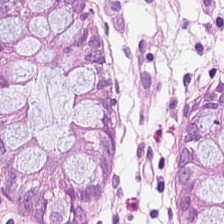The predominant tissue is non-neoplastic colon mucosa.
